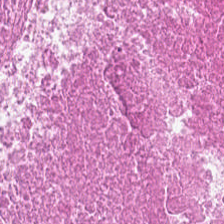Whole-slide-image patch. H&E stain. This patch shows debris.
